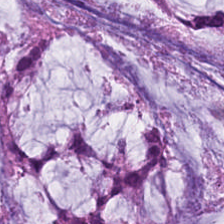Stain: H&E stain.
Resolution: 0.5 µm per pixel.
Preparation: formalin-fixed paraffin-embedded section.
Tissue: mucin.
